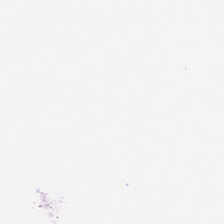H&E — No tissue present; background only.
